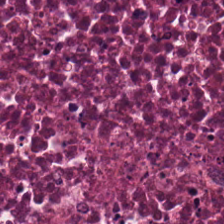The tissue is cellular debris.
